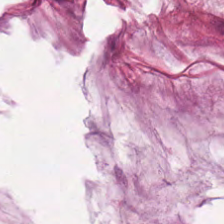Stain: hematoxylin and eosin.
Predominant tissue: mucin.
